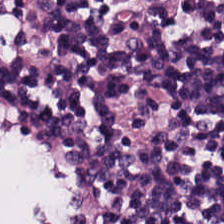H&E.
The predominant tissue is lymphoid infiltrate.
